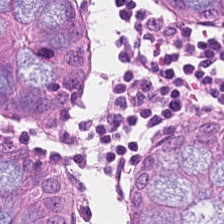FFPE tissue section; 20× equivalent magnification; hematoxylin-and-eosin stained section. The predominant tissue is benign colonic mucosa.
